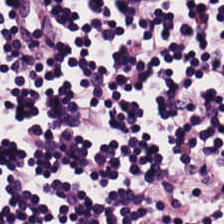H&E stain — The predominant tissue is lymphocyte aggregate.
